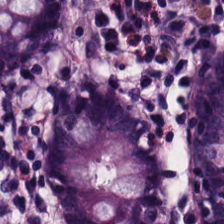Whole-slide-image patch · H&E.
Q: What tissue is shown?
A: It is normal colon mucosa.
